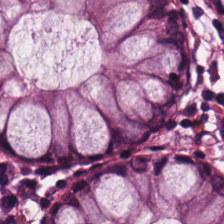Hematoxylin-and-eosin stained section · FFPE · brightfield microscopy. The tissue here is non-neoplastic colon mucosa.
